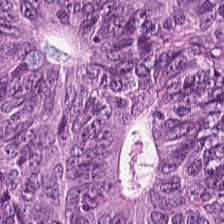Hematoxylin-and-eosin stained section. Q: What is the predominant tissue type?
A: Colorectal adenocarcinoma epithelium.
